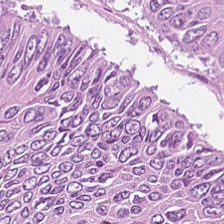Stain: hematoxylin-and-eosin stained section.
Tile size: 224×224 px patch.
Classification: adenocarcinoma.
